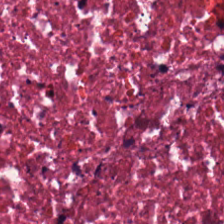Hematoxylin-and-eosin stained section · WSI patch · FFPE. This patch shows necrotic debris.
